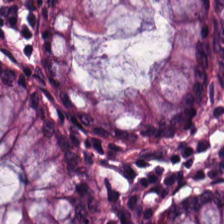Predominant tissue: benign colonic mucosa.
